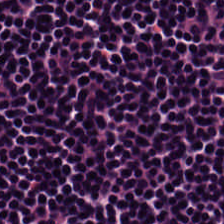H&E stain — The tissue here is lymphocytes.
